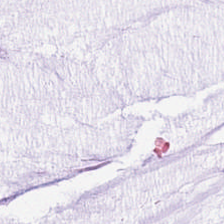224×224 px patch · hematoxylin-and-eosin stained section — This field is mucus.
